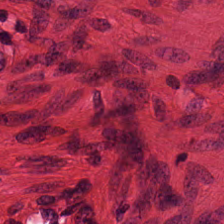Stain: hematoxylin-and-eosin stained section.
Tissue type: muscularis.
